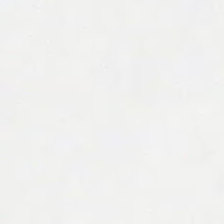H&E-stained tissue section · 224×224 px patch.
No tissue present; background only.
